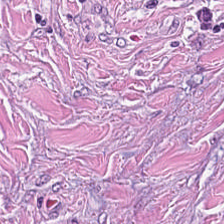FFPE tissue section; hematoxylin and eosin — Q: What is shown here?
A: The field shows tumor stroma.
